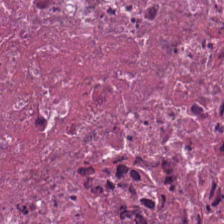H&E stain · 0.5 microns per pixel — Necrotic debris.
